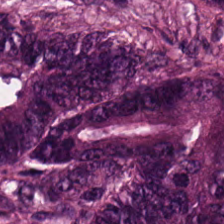Hematoxylin and eosin.
Q: What is shown here?
A: The field shows tumor epithelium.
